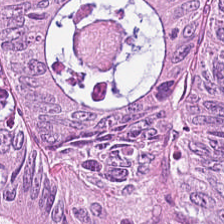H&E stain.
Histology — adenocarcinoma.
